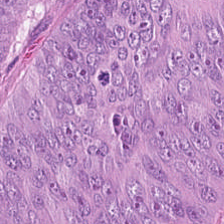Tissue = malignant epithelium.
